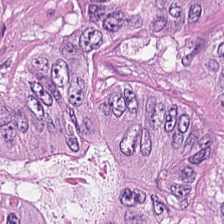H&E stain.
Tissue type: tumor epithelium.
